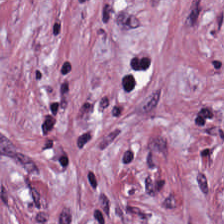0.5 microns per pixel. Hematoxylin-and-eosin stained section.
The predominant tissue is tumor-associated stroma.
